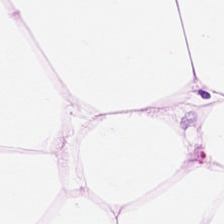H&E.
Histology → fat tissue.
